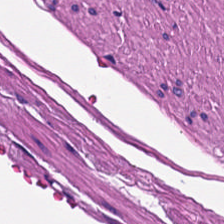Stain: hematoxylin-and-eosin stained section.
Preparation: formalin-fixed paraffin-embedded section.
Tissue class: smooth-muscle tissue.
